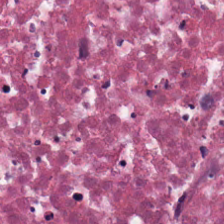H&E. This field is debris.
